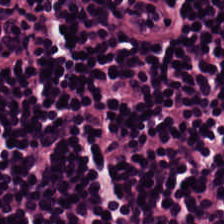H&E-stained tissue section; 0.5 µm per pixel; FFPE.
This patch shows lymphoid infiltrate.
